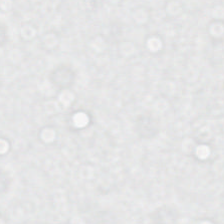H&E · 0.5 µm/px. The field content is background.
